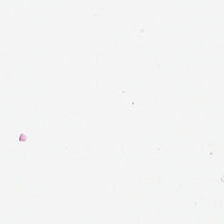Q: Classify this patch.
A: The field shows background.
